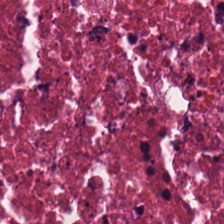Histology — debris.
